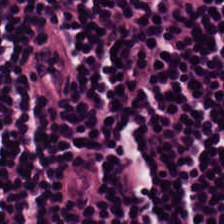H&E stain — Histology → lymphocytes.
